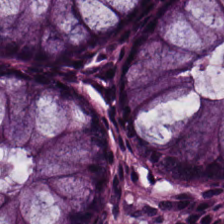224×224 px patch; 0.5 microns per pixel; H&E. Q: What tissue is shown?
A: This is non-neoplastic colon mucosa.
